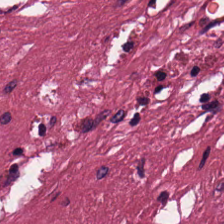Hematoxylin and eosin. Formalin-fixed paraffin-embedded section.
Histology → cancer-associated stroma.
